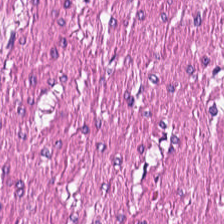Hematoxylin-and-eosin stained section; FFPE tissue section.
Showing smooth-muscle tissue.
